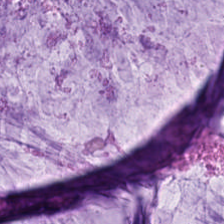The tissue class is mucin.
